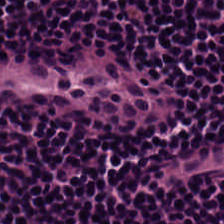H&E-stained tissue section.
This patch shows lymphocytic infiltrate.
